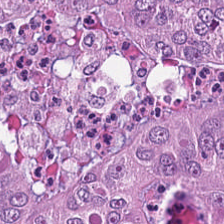Brightfield microscopy. H&E. Q: Identify the tissue.
A: It is malignant epithelium.
